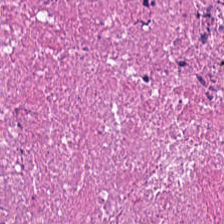Hematoxylin and eosin.
Cellular debris.
